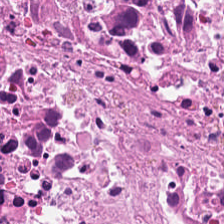H&E stain; brightfield; 224×224 px tile. The tissue here is necrotic debris.
